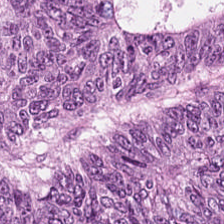Hematoxylin-and-eosin stained section — Colorectal adenocarcinoma epithelium.
